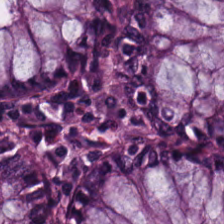H&E; 0.5 µm/px — Tissue class — benign colonic mucosa.
